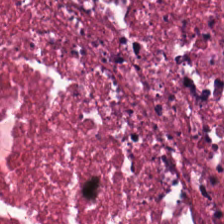H&E. Impression — necrotic debris.
